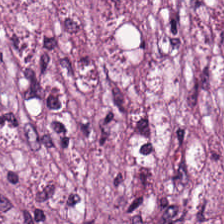Stain: hematoxylin-and-eosin stained section.
Classification: desmoplastic stroma.
